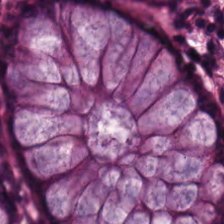Tissue type = benign colonic mucosa.
